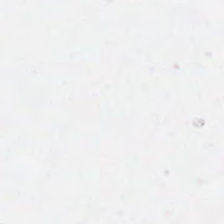224×224 px tile · H&E stain — Content: empty background.
